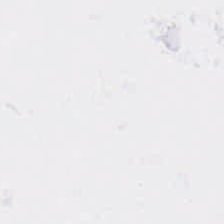H&E-stained tissue section.
Content = background (no tissue).
